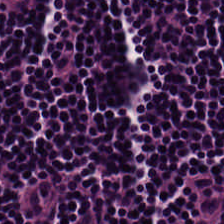Hematoxylin and eosin. This field is lymphocytes.
